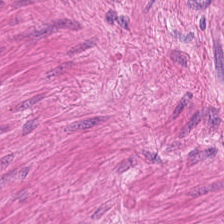WSI patch. Hematoxylin-and-eosin stained section. Formalin-fixed paraffin-embedded section — Impression — smooth-muscle tissue.
